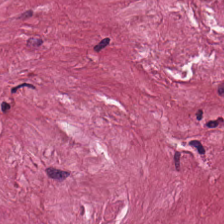Predominant tissue = tumor stroma.
